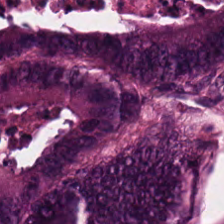0.5 µm per pixel · 224×224 px patch · H&E — This field is tumor epithelium.
